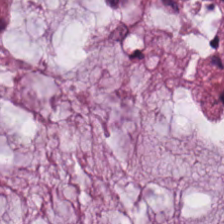Whole-slide-image patch. H&E-stained tissue section. 20× equivalent magnification. This patch shows extracellular mucin.
